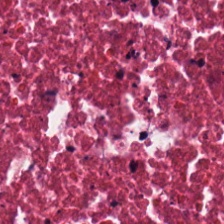Formalin-fixed paraffin-embedded section; H&E-stained tissue section.
The classification is necrotic debris.
